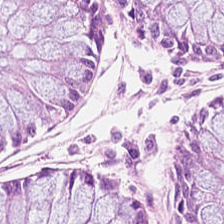Classification — normal colon mucosa.
